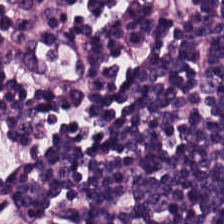The tissue is lymphocytes.
